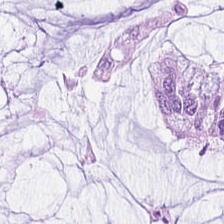Hematoxylin and eosin.
The tissue class is mucus.
